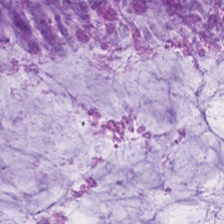Hematoxylin-and-eosin stained section.
Histology → mucus.
